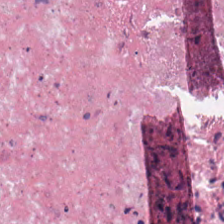Brightfield. FFPE. Hematoxylin and eosin. The predominant tissue is necrotic debris.
